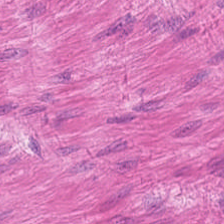Stain: H&E.
Tissue type: smooth-muscle tissue.
